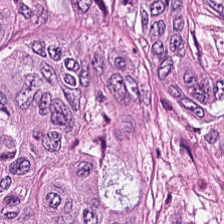This field is tumor epithelium.
